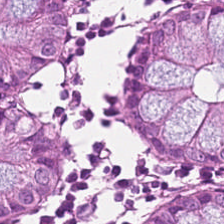H&E stain.
The predominant tissue is normal colonic mucosa.
